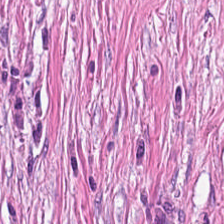224×224 pixel tile · brightfield · hematoxylin-and-eosin stained section — Showing tumor-associated stroma.
